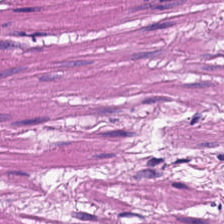H&E stain. Histology → muscularis.
